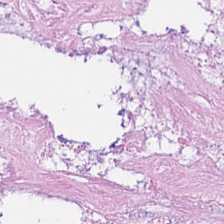Stain: H&E.
Classification: necrotic debris.
